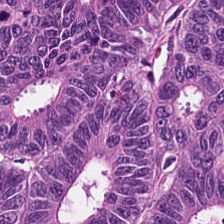Hematoxylin-and-eosin stained section. The tissue here is colorectal adenocarcinoma epithelium.
